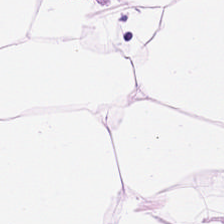Hematoxylin-and-eosin stained section.
{"tissue_type": "adipocytes"}
